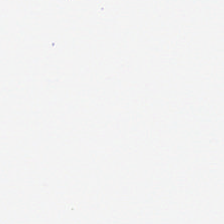Stain: H&E.
Field content: no tissue.
